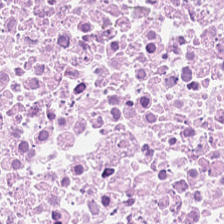H&E. 0.5 µm/px — Q: What is shown in this field?
A: Cellular debris.
